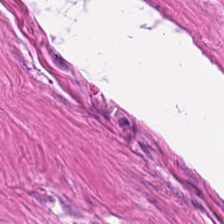H&E — smooth-muscle tissue.
